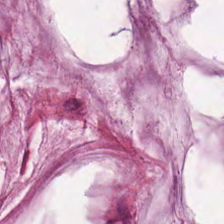WSI patch · FFPE · H&E-stained tissue section. The tissue class is mucus.
